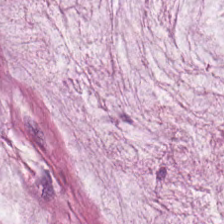224×224 pixel tile · H&E — Q: What does this patch show?
A: Extracellular mucin.
